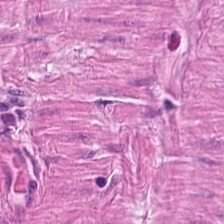H&E stain — Tissue type — smooth-muscle tissue.
